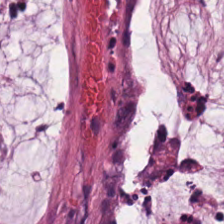Tissue type = mucus.
